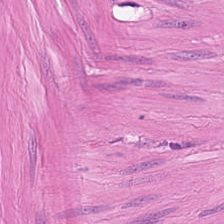H&E — Predominantly smooth-muscle tissue.
